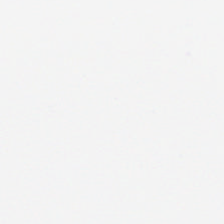Hematoxylin and eosin. Q: What is shown in this field?
A: It is no tissue.
